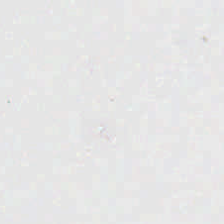H&E. Formalin-fixed paraffin-embedded section.
Q: What is shown in this field?
A: This is background (no tissue).
